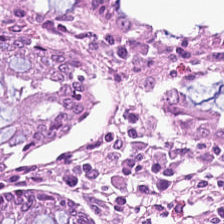H&E; whole-slide-image patch; FFPE — The predominant tissue is non-neoplastic colon mucosa.
